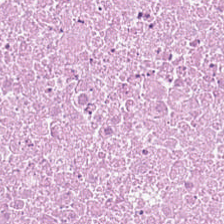Hematoxylin-and-eosin section: necrotic debris.
